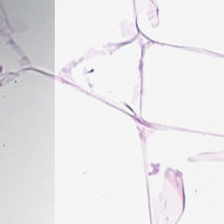H&E.
Showing adipose tissue.
